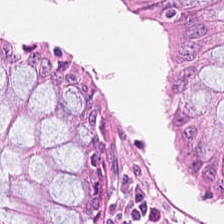FFPE tissue section. H&E-stained tissue section.
Finding → normal colonic mucosa.
